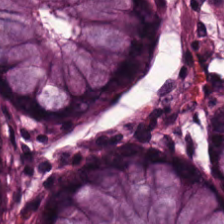Hematoxylin-and-eosin stained section.
The tissue here is non-neoplastic colon mucosa.
